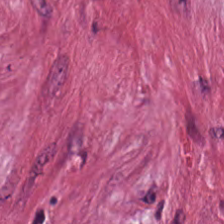224×224 px tile · hematoxylin and eosin · WSI patch. Tumor stroma.
